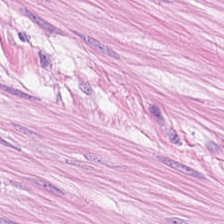Hematoxylin and eosin. Q: What does this patch show?
A: It is smooth-muscle tissue.
